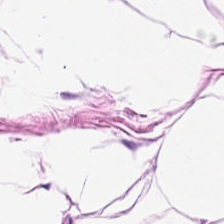Formalin-fixed paraffin-embedded section. H&E stain — This patch shows adipocytes.
